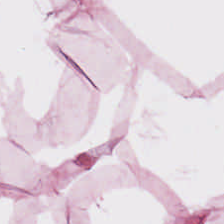Hematoxylin-and-eosin section: adipocytes.
